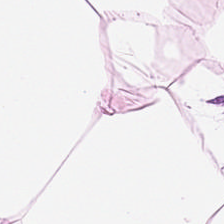H&E — Predominant tissue: adipose tissue.
